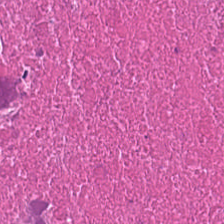Hematoxylin and eosin. Showing necrotic debris.
